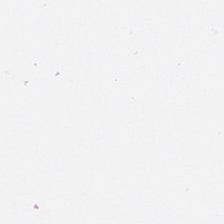224×224 px tile; 20× equivalent magnification; H&E stain. Q: Classify this patch.
A: No tissue.
